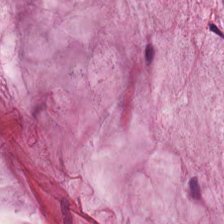H&E stain — Q: What is the predominant tissue type?
A: Mucin.
